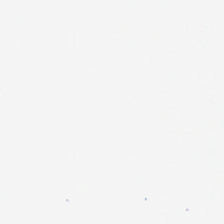Empty field — background (no tissue).
